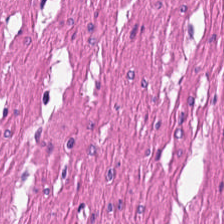H&E-stained tissue section — The tissue class is smooth-muscle tissue.
